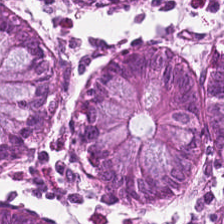Hematoxylin-and-eosin stained section.
Predominantly normal colon mucosa.
